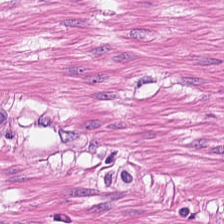H&E stain · 0.5 µm per pixel · whole-slide-image patch. The tissue here is smooth muscle.
